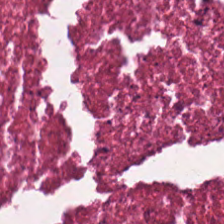FFPE tissue section. H&E-stained tissue section. Brightfield microscopy — Classification: necrotic debris.
